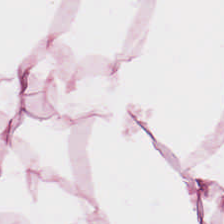224×224 px tile. Hematoxylin-and-eosin stained section. Formalin-fixed paraffin-embedded section. This patch shows adipose.
